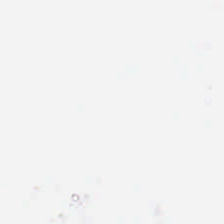Hematoxylin and eosin.
Empty field — no tissue.
